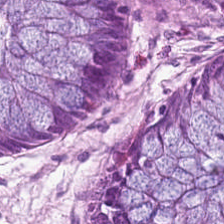Predominantly normal colon mucosa.
